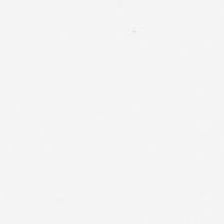Background — no tissue in this field.
